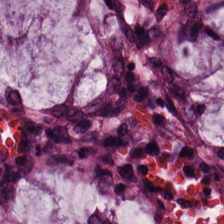The tissue is non-neoplastic colon mucosa.
